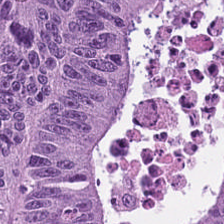H&E stain — Q: What is shown in this field?
A: It is adenocarcinoma.
